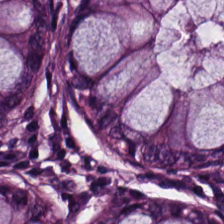FFPE. H&E-stained tissue section.
Predominantly normal colonic mucosa.
